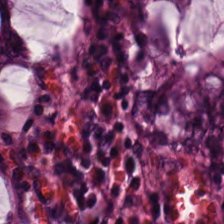Impression — benign colonic mucosa.
